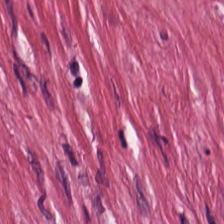Stain: H&E stain.
Tissue type: tumor stroma.
